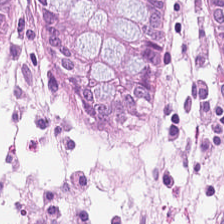H&E stain. Q: What is shown here?
A: It is benign colonic mucosa.
